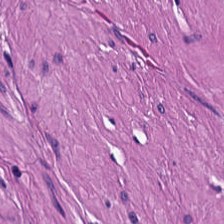H&E stain. The predominant tissue is muscularis.
